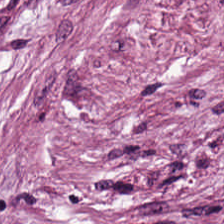Stain: hematoxylin-and-eosin stained section.
Tissue class: tumor stroma.
